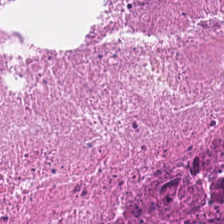Tissue type: cellular debris.
